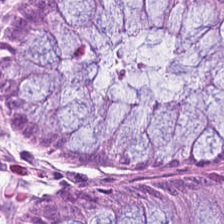H&E stain.
Impression → benign colonic mucosa.
